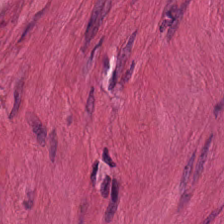Stain: hematoxylin-and-eosin stained section.
Tile size: 224×224 px patch.
Tissue: smooth-muscle tissue.
